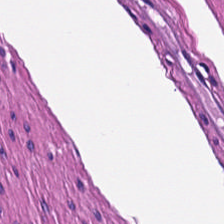Hematoxylin and eosin.
The tissue here is smooth muscle.
